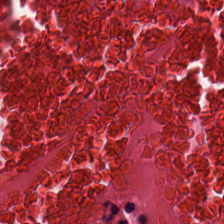20× equivalent magnification · FFPE · H&E. The tissue here is debris.
